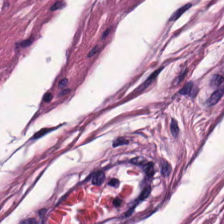Finding → muscularis.
